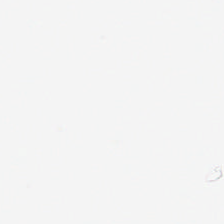H&E stain. Q: What is shown in this field?
A: The field shows background (no tissue).
